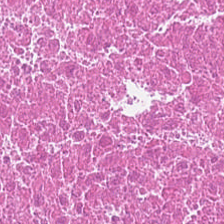H&E patch showing debris.
